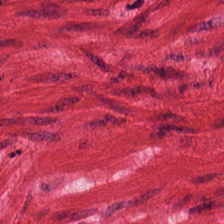0.5 µm per pixel. Brightfield. Hematoxylin and eosin — {"tissue_type": "smooth muscle"}
